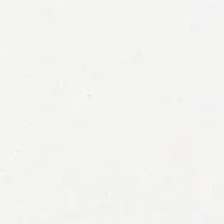H&E stain · FFPE tissue section.
Q: What does this patch show?
A: It is empty background.
